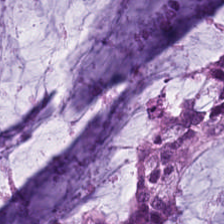Hematoxylin and eosin.
Predominantly mucin.
